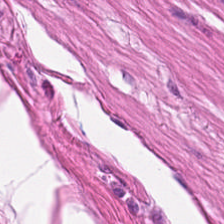Histology → muscularis.
